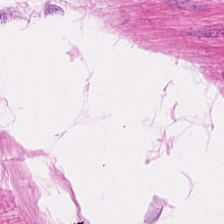Hematoxylin and eosin.
Smooth-muscle tissue.
